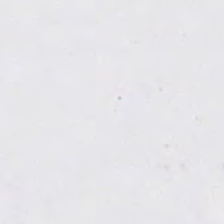Hematoxylin and eosin.
Classification — background.
